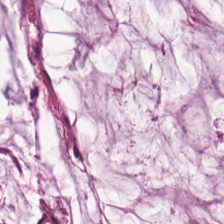H&E-stained tissue section.
{"tissue_type": "extracellular mucin"}
